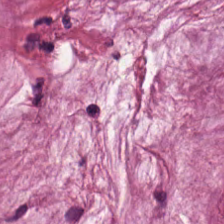H&E stain.
Tissue class: extracellular mucin.
